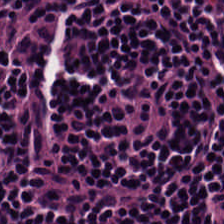H&E-stained tissue section.
The tissue here is lymphocyte aggregate.
